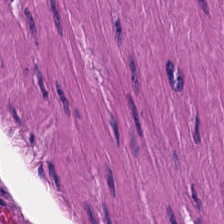H&E; brightfield microscopy.
Tissue type — muscularis.
